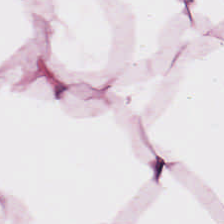Hematoxylin-and-eosin stained section.
Fat tissue.
